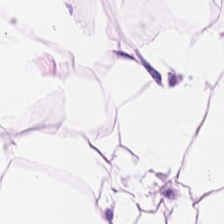H&E stain — Showing fat tissue.
